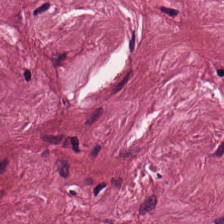Stain: H&E stain.
Tissue class: tumor-associated stroma.
